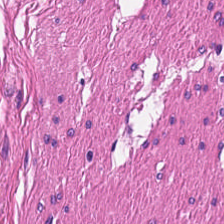H&E — Q: What does this patch show?
A: The field shows smooth muscle.
